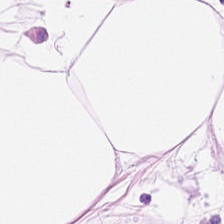H&E patch showing adipocytes.
